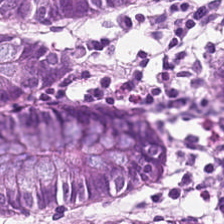H&E.
Impression — non-neoplastic colon mucosa.
